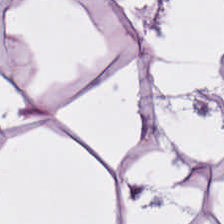Hematoxylin and eosin.
Classification: fat tissue.
